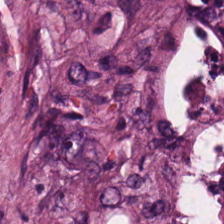Finding — desmoplastic stroma.
